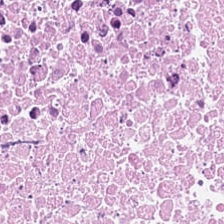Stain: H&E stain.
Classification: cellular debris.
